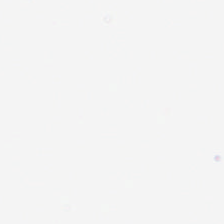H&E-stained tissue section — This patch shows background (no tissue).
